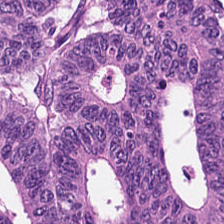H&E stain; 0.5 µm per pixel.
Q: Classify this patch.
A: Tumor epithelium.
